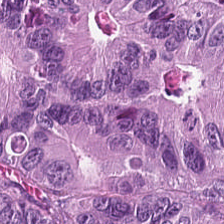H&E. Predominant tissue — colorectal adenocarcinoma.
